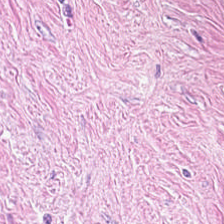FFPE tissue section. H&E stain.
The predominant tissue is desmoplastic stroma.
